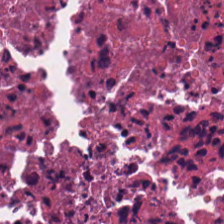Finding — debris.
